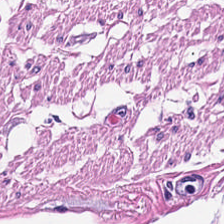Stain: hematoxylin and eosin.
Predominant tissue: smooth-muscle tissue.
